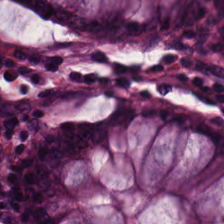Stain: H&E-stained tissue section.
Resolution: 20× equivalent magnification.
Tissue class: non-neoplastic colon mucosa.
